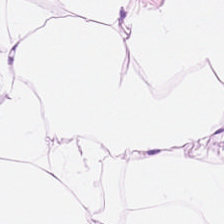Stain: H&E-stained tissue section.
Tissue: adipose tissue.
